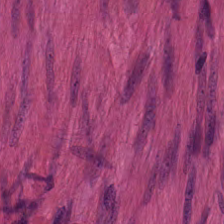224×224 pixel tile · hematoxylin and eosin — Histology → smooth muscle.
